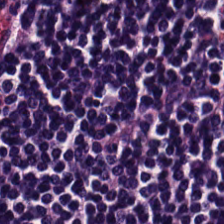Hematoxylin-and-eosin stained section. 20× equivalent magnification.
Tissue type — lymphocyte aggregate.
